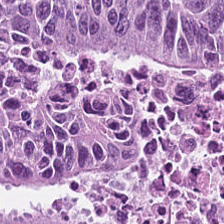Showing tumor epithelium.
